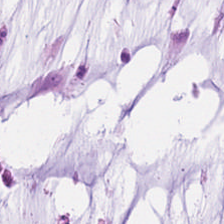Hematoxylin-and-eosin stained section — Mucin.
